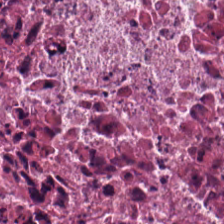H&E. This field is cellular debris.
